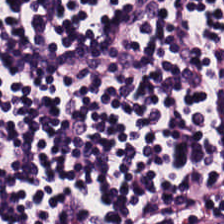Stain: H&E-stained tissue section.
Resolution: 20× equivalent magnification.
Tissue type: lymphocyte aggregate.
